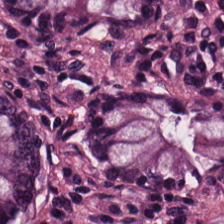Predominant tissue — normal colonic mucosa.
